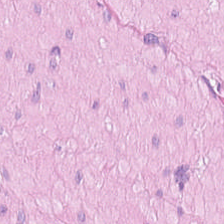Hematoxylin-and-eosin stained section — Smooth-muscle tissue.
